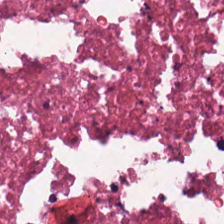Stain: hematoxylin-and-eosin stained section.
Acquisition: WSI patch.
Resolution: 0.5 microns per pixel.
Tissue type: cellular debris.
